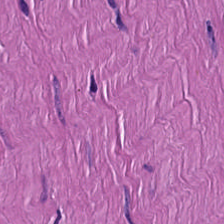Q: What tissue type is shown here?
A: The field shows muscularis.
